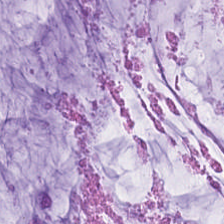Tissue class: mucin.
